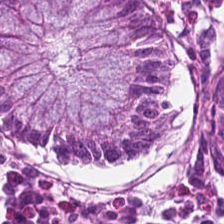224×224 pixel tile; hematoxylin-and-eosin stained section. {"tissue_type": "benign colonic mucosa"}
